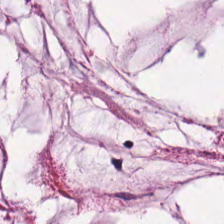Stain: hematoxylin and eosin.
Tissue type: mucin.
